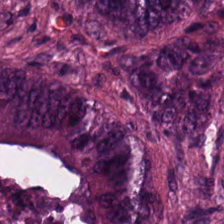H&E-stained tissue section.
This field is malignant epithelium.
